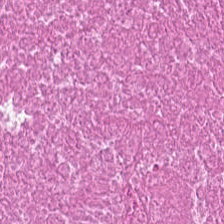Predominant tissue: cellular debris.
